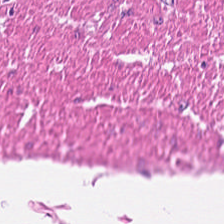Smooth-muscle tissue.
